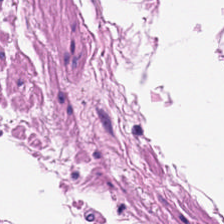Hematoxylin and eosin — The tissue class is smooth muscle.
